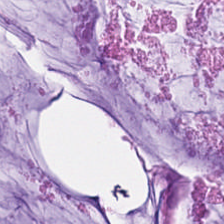Stain: H&E stain.
Classification: extracellular mucin.
